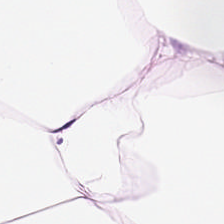H&E-stained tissue section — Showing adipose tissue.
